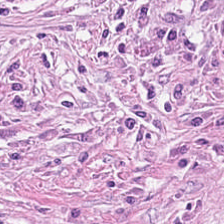Brightfield microscopy; hematoxylin-and-eosin stained section; 224×224 px tile.
Classification — tumor stroma.
